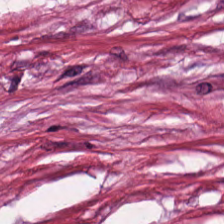The predominant tissue is desmoplastic stroma.
